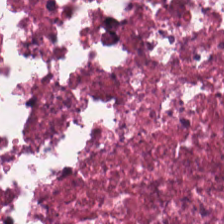Stain: H&E stain.
Tissue: debris.
